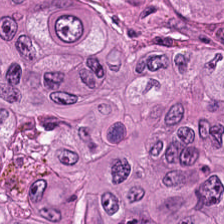Stain: H&E-stained tissue section.
Predominant tissue: adenocarcinoma.
